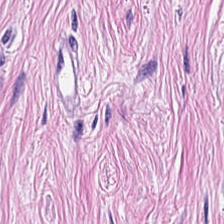Hematoxylin and eosin.
The predominant tissue is cancer-associated stroma.
